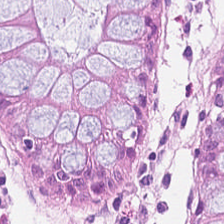Whole-slide-image patch; 0.5 µm per pixel; H&E-stained tissue section.
{"tissue_type": "normal colonic mucosa"}
